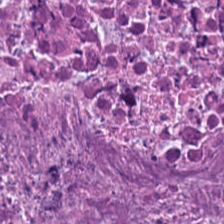WSI patch · H&E stain.
{"tissue_type": "necrotic debris"}
